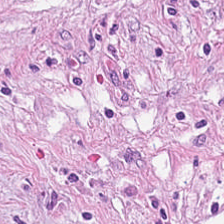H&E.
Tissue — cancer-associated stroma.
